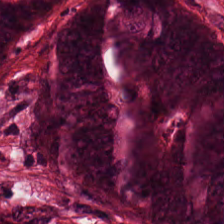The predominant tissue is colorectal adenocarcinoma epithelium.
